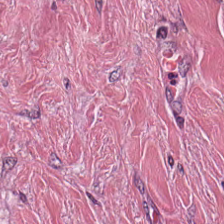H&E — Tissue class: desmoplastic stroma.
